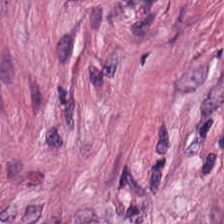H&E-stained tissue section showing cancer-associated stroma.
